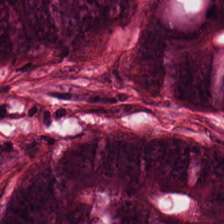H&E stain.
This field is malignant epithelium.
